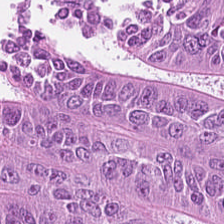Hematoxylin and eosin. Q: What is shown in this field?
A: The field shows colorectal adenocarcinoma.
